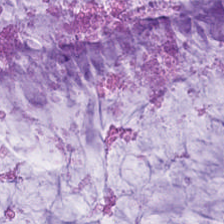Hematoxylin-and-eosin stained section · brightfield microscopy · 224×224 px tile. The tissue here is extracellular mucin.
